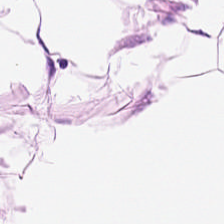H&E stain. FFPE tissue section. 20× equivalent magnification.
Showing adipocytes.
